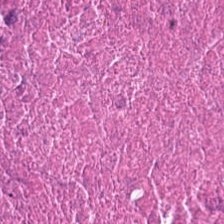Hematoxylin-and-eosin stained section. This patch shows necrotic debris.
